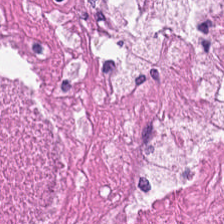Classification: necrotic debris.
